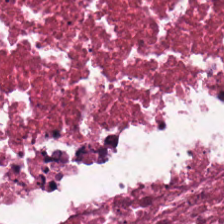Hematoxylin and eosin. Formalin-fixed paraffin-embedded section. This patch shows cellular debris.
